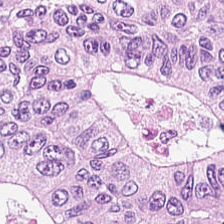The tissue here is adenocarcinoma.
